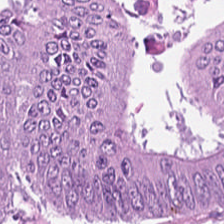Hematoxylin and eosin. Formalin-fixed paraffin-embedded section. This patch shows colorectal adenocarcinoma.
